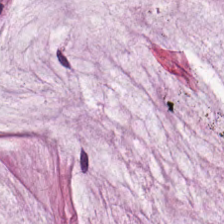H&E — mucin.
